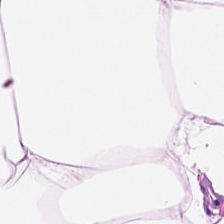H&E-stained tissue section — Tissue: adipose.
